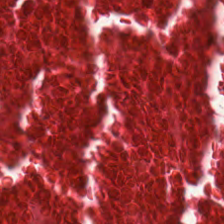Stain: H&E stain.
Tissue class: cellular debris.
